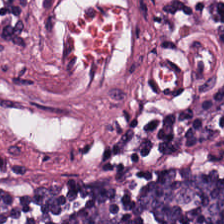H&E stain.
Lymphocyte aggregate.
